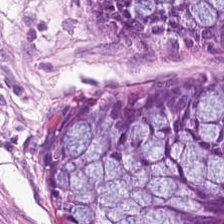Stain: H&E-stained tissue section.
Preparation: formalin-fixed paraffin-embedded section.
Acquisition: brightfield.
Tissue class: normal colonic mucosa.
